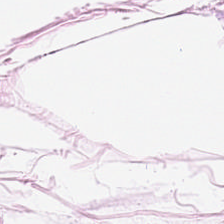Tissue type — adipose.
